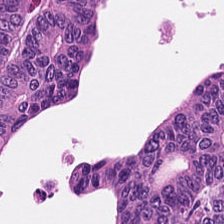224×224 pixel tile; hematoxylin and eosin; formalin-fixed paraffin-embedded section. Predominant tissue: malignant epithelium.
